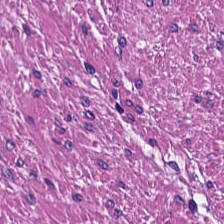The tissue type is smooth muscle.
